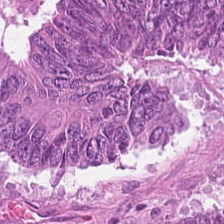H&E — Q: What is shown in this field?
A: This is adenocarcinoma.
